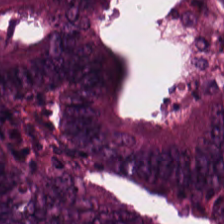H&E stain. Predominantly tumor epithelium.
